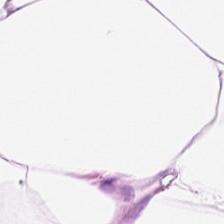Tissue type = fat tissue.
